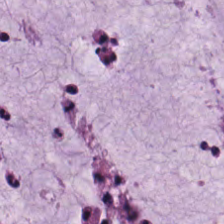Hematoxylin-and-eosin stained section · 0.5 µm per pixel · formalin-fixed paraffin-embedded section. The predominant tissue is mucus.
